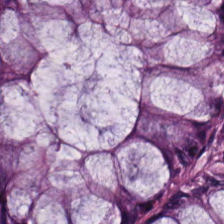H&E-stained tissue section — Finding → normal colonic mucosa.
